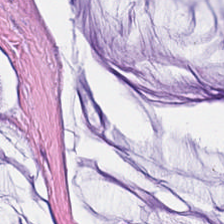H&E — Mucin.
